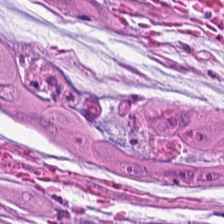Hematoxylin-and-eosin stained section. Q: What is the predominant tissue type?
A: This is mucin.
